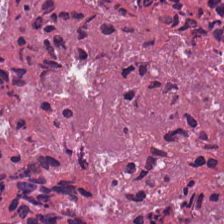WSI patch · hematoxylin-and-eosin stained section · 224×224 pixel tile. The tissue here is debris.
